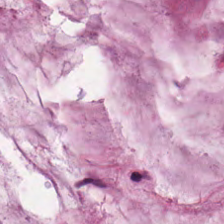H&E-stained tissue section — This field is mucus.
